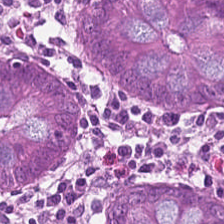H&E patch showing non-neoplastic colon mucosa.
